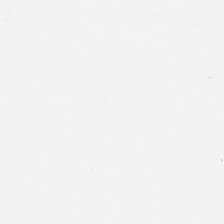No tissue.
